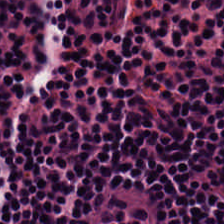Hematoxylin and eosin — Q: What is shown in this field?
A: This is lymphocytic infiltrate.
